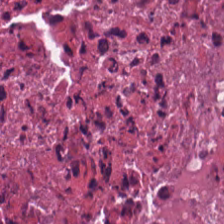Stain: hematoxylin and eosin.
Tissue type: cellular debris.
